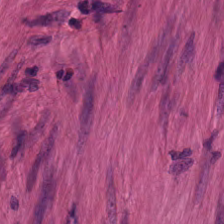H&E · 20× equivalent magnification. Impression → smooth muscle.
